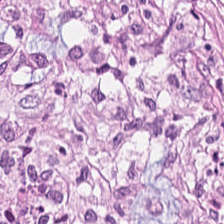H&E. Q: What type of tissue is this?
A: This is desmoplastic stroma.
